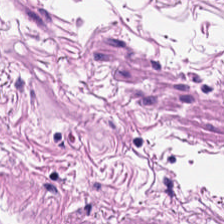Stain: H&E stain.
Resolution: 20× equivalent magnification.
Tissue type: muscularis.
